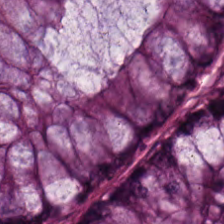H&E-stained tissue section.
Tissue class: normal colonic mucosa.
